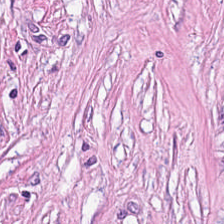H&E. The predominant tissue is desmoplastic stroma.
